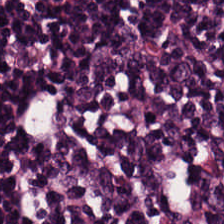H&E patch showing lymphocyte aggregate.
